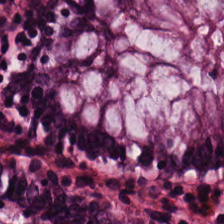Q: Identify the tissue.
A: Non-neoplastic colon mucosa.
